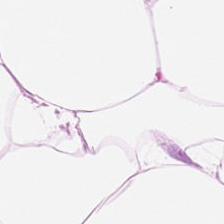20× equivalent magnification; hematoxylin and eosin — Q: Classify this patch.
A: The field shows adipocytes.
